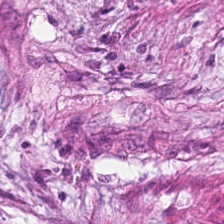Hematoxylin-and-eosin stained section. 0.5 µm per pixel. Q: What tissue type is shown here?
A: The field shows tumor stroma.
